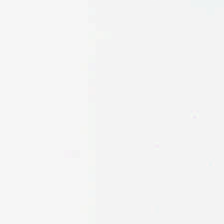224×224 px tile; H&E.
This field is background (no tissue).
